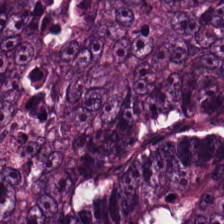Stain: hematoxylin-and-eosin stained section.
Tissue class: colorectal adenocarcinoma.
